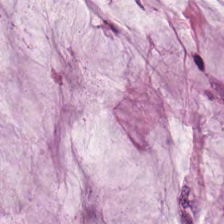H&E-stained tissue section · 224×224 px tile — The tissue here is mucus.
